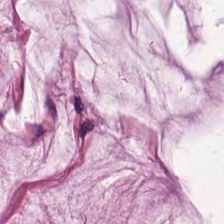H&E. Classification: extracellular mucin.
